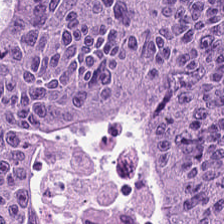Formalin-fixed paraffin-embedded section; hematoxylin-and-eosin stained section. The tissue here is adenocarcinoma.
